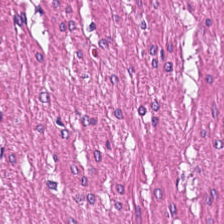Hematoxylin and eosin — Q: What tissue type is shown here?
A: This is smooth-muscle tissue.
